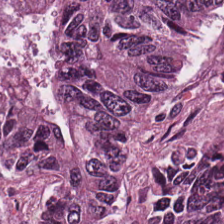H&E-stained tissue section. This patch shows colorectal adenocarcinoma.
